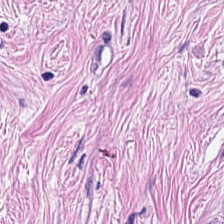H&E stain.
Predominantly tumor-associated stroma.
